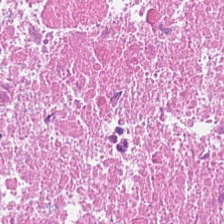H&E stain.
The predominant tissue is debris.
